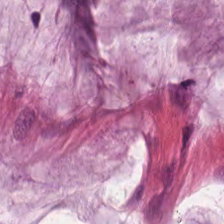H&E. Formalin-fixed paraffin-embedded section. Brightfield microscopy.
The tissue is mucus.
